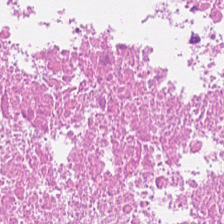H&E stain — Tissue type: debris.
